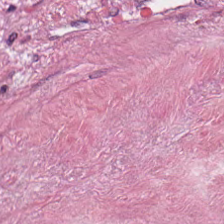Stain: hematoxylin and eosin.
Acquisition: WSI patch.
Tissue type: cancer-associated stroma.
